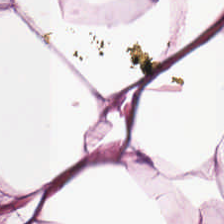Predominantly adipocytes.
